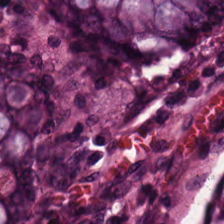H&E-stained tissue section. Finding → normal colonic mucosa.
